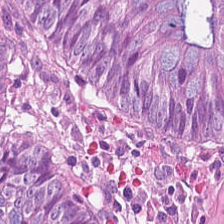Hematoxylin-and-eosin stained section · 224×224 px patch · 0.5 microns per pixel. The predominant tissue is colorectal adenocarcinoma.
